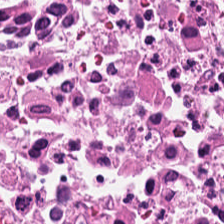Q: What tissue is shown?
A: Necrotic debris.
